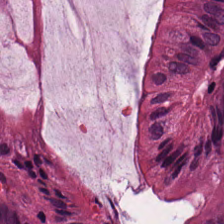Hematoxylin-and-eosin stained section · 224×224 px patch.
{"tissue_type": "benign colonic mucosa"}
